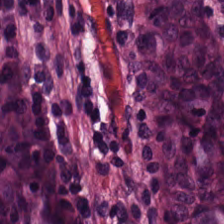Hematoxylin and eosin.
Q: What is the predominant tissue type?
A: It is non-neoplastic colon mucosa.
